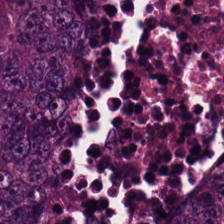Hematoxylin-and-eosin stained section — Q: What is shown here?
A: It is colorectal adenocarcinoma epithelium.
